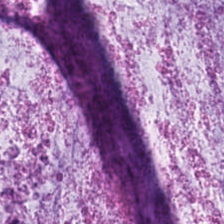H&E-stained tissue section.
This field is mucin.
